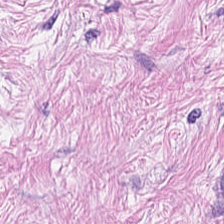Brightfield. H&E — Tissue = desmoplastic stroma.
